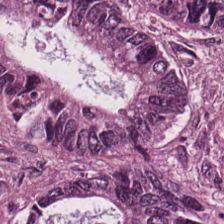Q: What tissue is shown?
A: This is colorectal adenocarcinoma.
